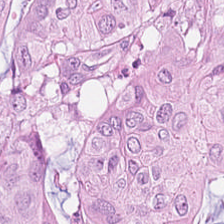Stain: H&E stain.
Tissue: colorectal adenocarcinoma.
